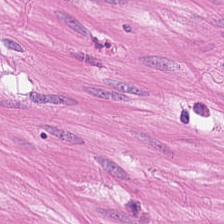Brightfield; H&E-stained tissue section.
Predominantly smooth-muscle tissue.
